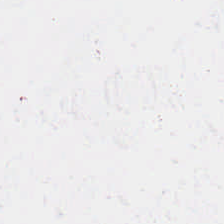This patch shows background (no tissue).
